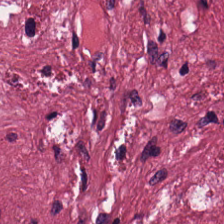Hematoxylin and eosin — The predominant tissue is desmoplastic stroma.
